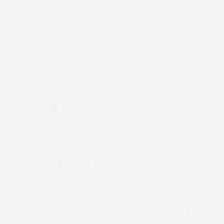Field content: no tissue.
